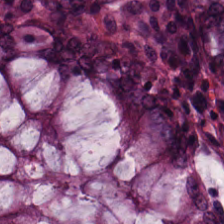H&E stain.
Tissue — benign colonic mucosa.
